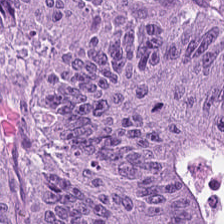H&E-stained tissue section. Q: What type of tissue is this?
A: Malignant epithelium.
